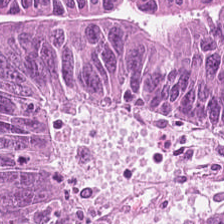0.5 µm/px; H&E.
Tissue type = adenocarcinoma.
